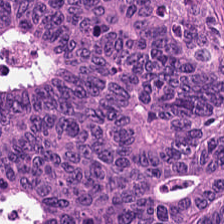224×224 px patch. H&E stain. This field is adenocarcinoma.
